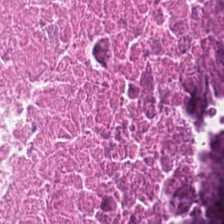Classification = debris.
